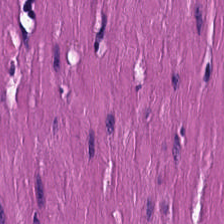Hematoxylin-and-eosin stained section.
This patch shows smooth-muscle tissue.
